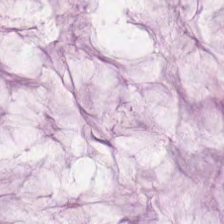H&E · formalin-fixed paraffin-embedded section — Predominantly mucin.
